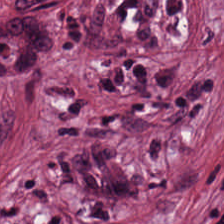H&E. Tissue type — tumor-associated stroma.
